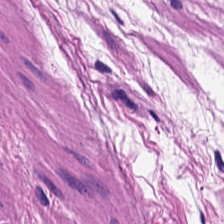Hematoxylin-and-eosin stained section — This patch shows smooth-muscle tissue.
